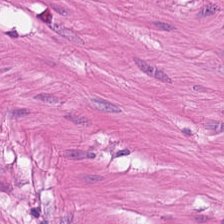H&E-stained tissue section.
This field is smooth muscle.
